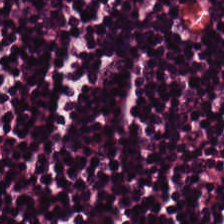Hematoxylin and eosin.
Q: What type of tissue is this?
A: This is lymphocyte aggregate.
